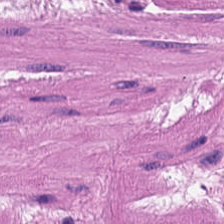H&E-stained tissue section — Smooth muscle.
